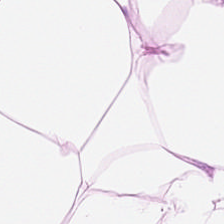H&E stain. The tissue type is adipose tissue.
